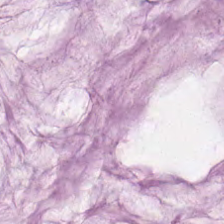H&E. Finding — mucin.
